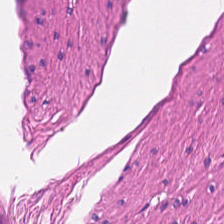Hematoxylin and eosin.
Smooth muscle.
